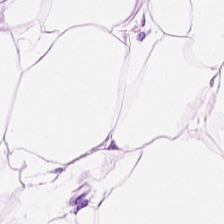H&E-stained tissue section. This field is adipose tissue.
